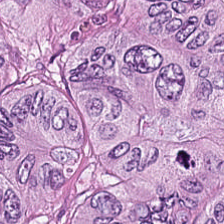0.5 µm per pixel · hematoxylin-and-eosin stained section. Showing colorectal adenocarcinoma epithelium.
